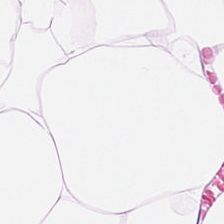Hematoxylin and eosin; formalin-fixed paraffin-embedded section. {"tissue_type": "adipose"}
